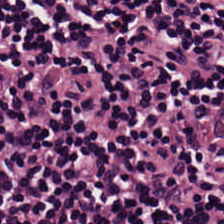H&E.
Tissue type = lymphocyte aggregate.
